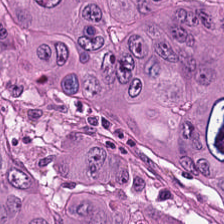Hematoxylin and eosin — This field is colorectal adenocarcinoma.
